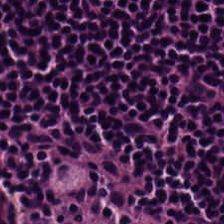Stain: H&E-stained tissue section.
Acquisition: brightfield.
Tissue: lymphocytes.
